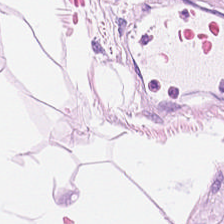Finding → adipose tissue.
